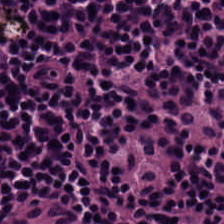Hematoxylin and eosin.
Q: What is the predominant tissue type?
A: The field shows lymphocyte aggregate.
